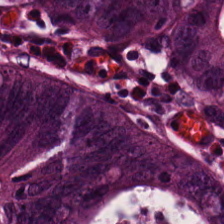Formalin-fixed paraffin-embedded section · 224×224 px patch · H&E stain — Q: What tissue is shown?
A: This is colorectal adenocarcinoma.
